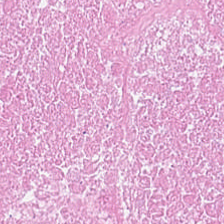H&E · FFPE tissue section.
Finding → necrotic debris.
